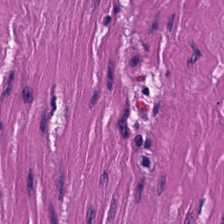Hematoxylin and eosin.
Tissue class: smooth-muscle tissue.
